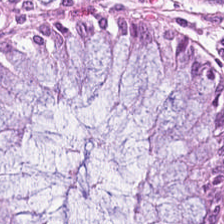H&E-stained tissue section. Normal colon mucosa.
